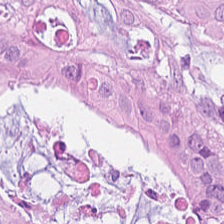H&E stain — Tissue type: colorectal adenocarcinoma epithelium.
